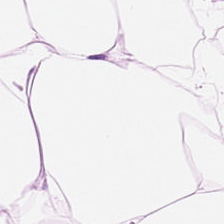H&E; FFPE; WSI patch — Q: What is the predominant tissue type?
A: This is adipocytes.
